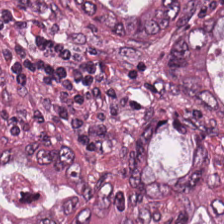H&E-stained tissue section · 224×224 px patch · whole-slide-image patch. Predominantly colorectal adenocarcinoma epithelium.
